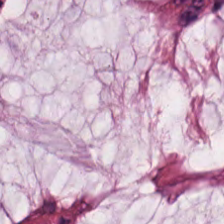The predominant tissue is extracellular mucin.
